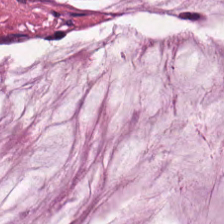FFPE tissue section · H&E stain. Classification: extracellular mucin.
